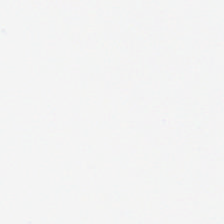This field is background (no tissue).
